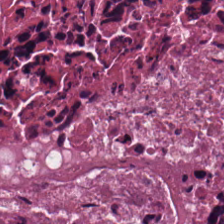Tissue class — cellular debris.
